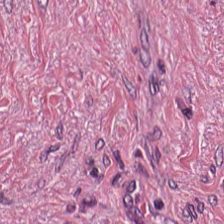The tissue is desmoplastic stroma.
